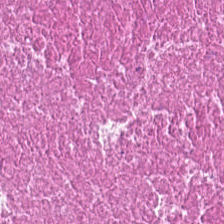H&E-stained tissue section. 0.5 µm per pixel.
Showing necrotic debris.
